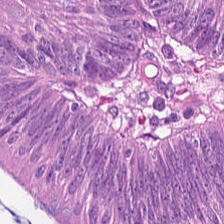Stain: H&E stain.
Tile size: 224×224 px tile.
Tissue: colorectal adenocarcinoma.
